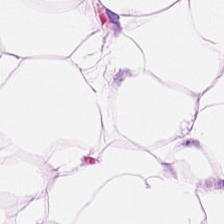Q: Identify the tissue.
A: Fat tissue.
